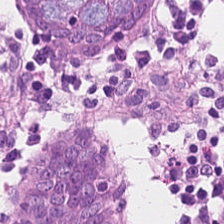H&E stain · brightfield microscopy — Tissue type = normal colon mucosa.
